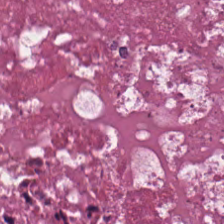Tissue type = debris.
